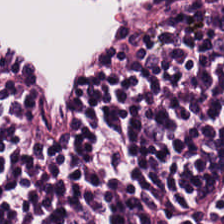Q: What is shown in this field?
A: This is lymphocytic infiltrate.
